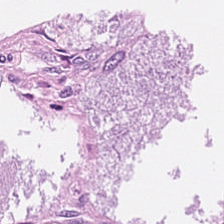Tissue type: adenocarcinoma.
